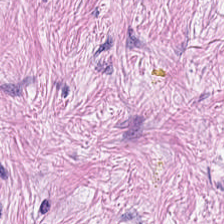Hematoxylin-and-eosin stained section — Predominantly tumor stroma.
